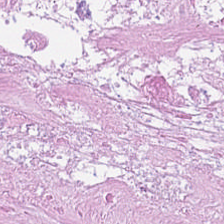FFPE tissue section. 20× equivalent magnification. H&E-stained tissue section — Histology → cellular debris.
